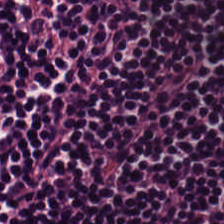Q: What tissue is shown?
A: Lymphocytes.
